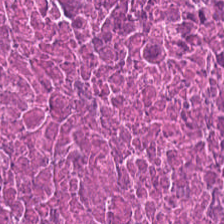H&E-stained tissue section.
This patch shows cellular debris.
